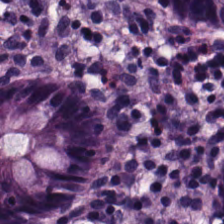H&E-stained tissue section. This field is normal colon mucosa.
